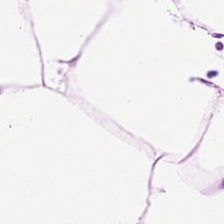Hematoxylin and eosin; 224×224 px tile. Tissue — adipose tissue.
